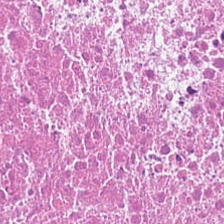Q: What is the predominant tissue type?
A: It is cellular debris.
